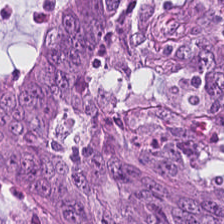Tissue type: malignant epithelium.
